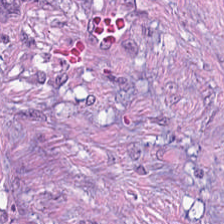H&E — This patch shows desmoplastic stroma.
